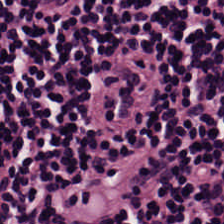Tissue type — lymphoid infiltrate.
